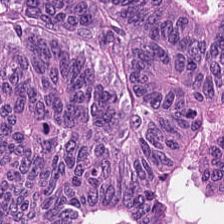H&E-stained tissue section showing colorectal adenocarcinoma.
